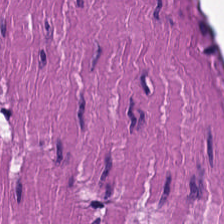H&E · 224×224 pixel tile — Classification = smooth muscle.
